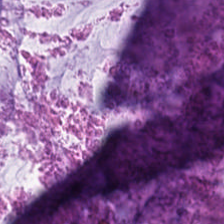Showing mucin.
